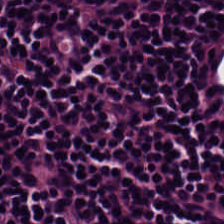H&E stain — Q: What is the predominant tissue type?
A: It is lymphocytic infiltrate.
